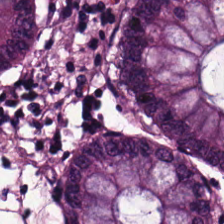Stain: H&E.
Tissue type: normal colon mucosa.
